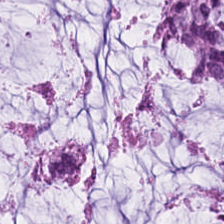Stain: H&E-stained tissue section.
Tissue type: extracellular mucin.
